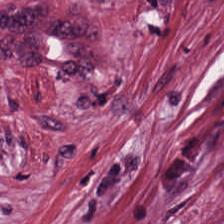H&E-stained tissue section. Formalin-fixed paraffin-embedded section.
Q: Classify this patch.
A: This is desmoplastic stroma.
